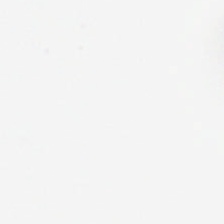H&E · whole-slide-image patch.
Finding — empty background.
